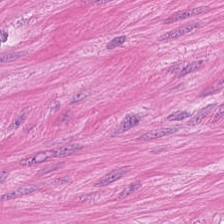WSI patch; 224×224 px patch; H&E.
Impression — smooth muscle.
